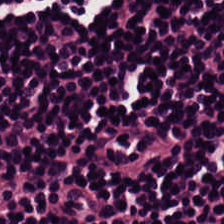Stain: H&E stain.
Tile size: 224×224 pixel tile.
Tissue type: lymphoid infiltrate.
